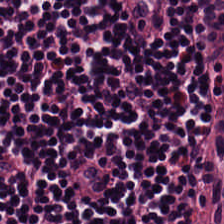H&E · 224×224 px patch — The tissue here is lymphocytic infiltrate.
